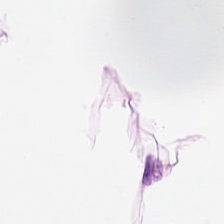H&E stain · 0.5 microns per pixel — {"tissue_type": "adipose tissue"}
